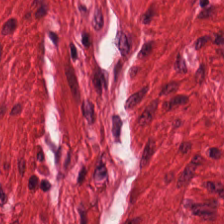H&E — The tissue here is muscularis.
